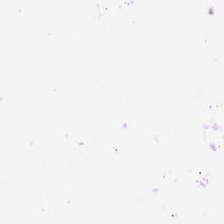H&E-stained tissue section.
Q: What is shown in this field?
A: This is background.
